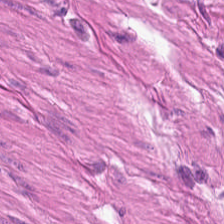H&E-stained tissue section. Histology — smooth muscle.
